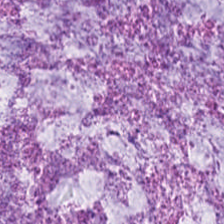H&E stain. Q: What type of tissue is this?
A: It is mucin.
